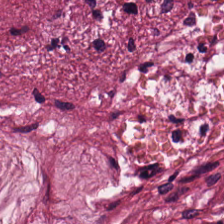H&E-stained tissue section. Cancer-associated stroma.
